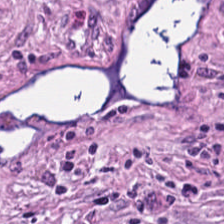Hematoxylin and eosin · 224×224 pixel tile · 0.5 microns per pixel — Classification: desmoplastic stroma.
